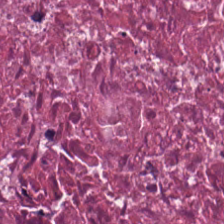WSI patch; hematoxylin-and-eosin stained section — Q: What is shown in this field?
A: Cellular debris.
